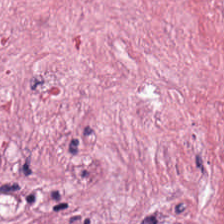Tissue — tumor stroma.
